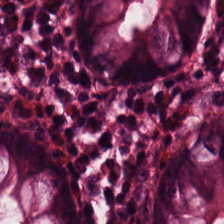20× equivalent magnification; H&E stain; FFPE. The predominant tissue is non-neoplastic colon mucosa.
